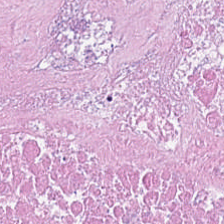Tissue: necrotic debris.
